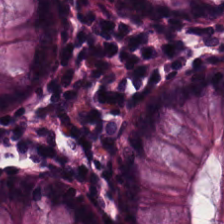H&E stain — The tissue class is non-neoplastic colon mucosa.
